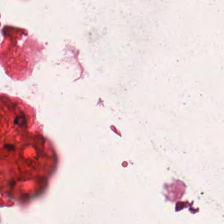H&E; whole-slide-image patch — Predominant tissue — muscularis.
